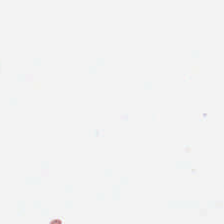224×224 pixel tile · hematoxylin-and-eosin stained section · formalin-fixed paraffin-embedded section — Content — empty background.
